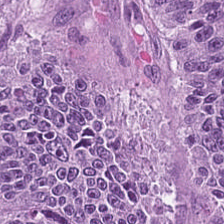Stain: H&E-stained tissue section.
Tissue type: adenocarcinoma.
